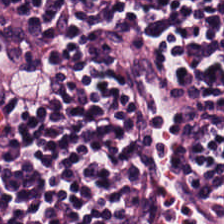Q: Identify the tissue.
A: This is lymphoid infiltrate.
